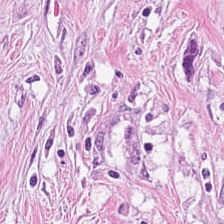H&E patch showing tumor-associated stroma.
